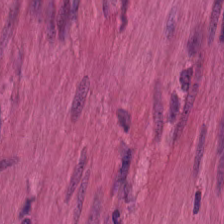Hematoxylin-and-eosin stained section. FFPE tissue section. 224×224 px tile. {"tissue_type": "muscularis"}
